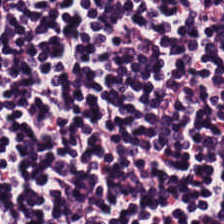Tissue class: lymphocytes.
